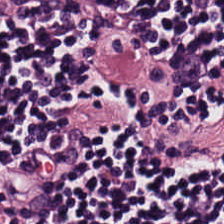H&E-stained tissue section · brightfield. Showing lymphocytic infiltrate.
